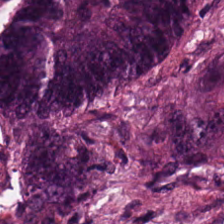H&E — Tissue class = tumor epithelium.
